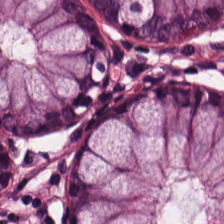Tissue type — normal colonic mucosa.
